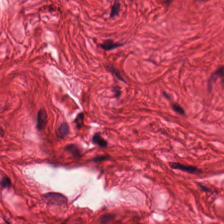Stain: hematoxylin and eosin.
Tile size: 224×224 px tile.
Tissue type: muscularis.
